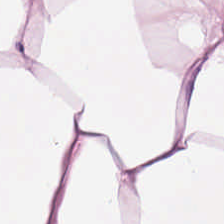Fat tissue.
